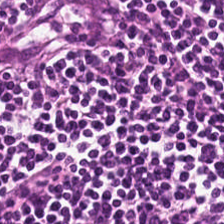Hematoxylin and eosin — Predominantly lymphoid infiltrate.
